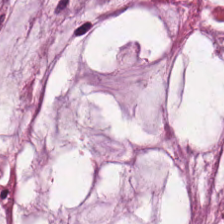H&E. FFPE tissue section — The predominant tissue is mucus.
